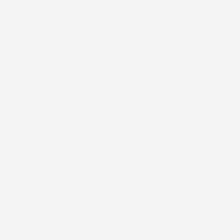Hematoxylin-and-eosin stained section — Field content — background.
